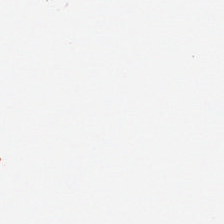Background — no tissue in this field.
